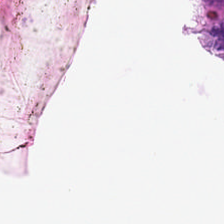Field content — empty background.
